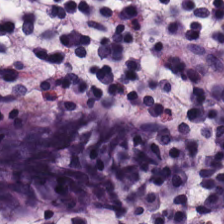Histology → normal colon mucosa.
